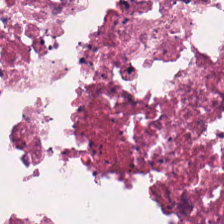Tissue type: debris.
